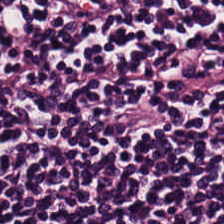H&E stain; 224×224 px tile; FFPE — Tissue — lymphocyte aggregate.
